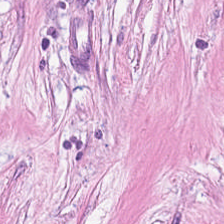H&E. 224×224 px patch. This patch shows tumor stroma.
